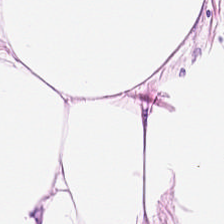H&E — Q: What is shown here?
A: The field shows fat tissue.
